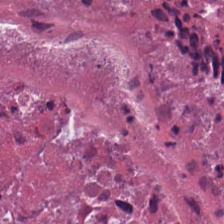FFPE · 20× equivalent magnification · hematoxylin-and-eosin stained section. Tissue = cellular debris.
